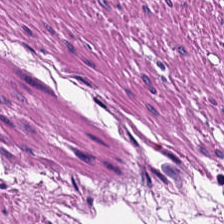H&E-stained tissue section. Q: Classify this patch.
A: The field shows smooth muscle.
